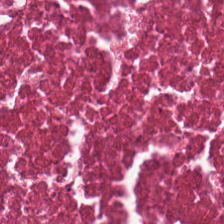This field is cellular debris.
